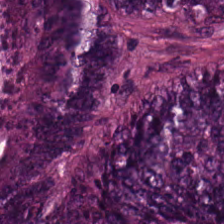H&E-stained tissue section.
The tissue here is colorectal adenocarcinoma epithelium.
